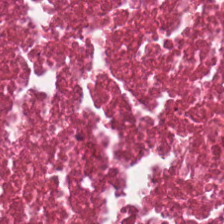Hematoxylin-and-eosin stained section. The tissue here is debris.
